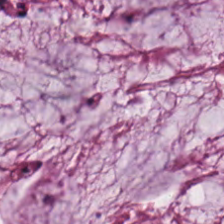Mucin.
